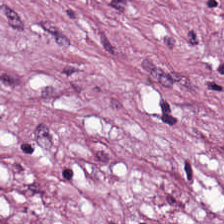Brightfield; 0.5 µm/px; H&E.
Q: Classify this patch.
A: This is cancer-associated stroma.
